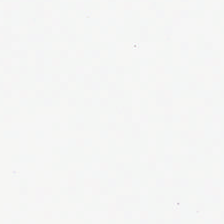H&E stain.
Q: What is shown in this field?
A: This is background (no tissue).
